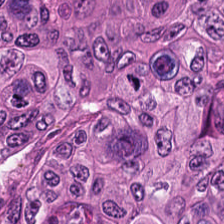H&E; 224×224 px patch; 20× equivalent magnification.
{"tissue_type": "colorectal adenocarcinoma epithelium"}
